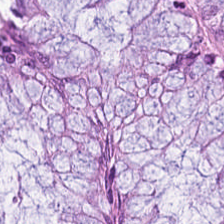Hematoxylin-and-eosin stained section. Q: What tissue type is shown here?
A: This is normal colon mucosa.
